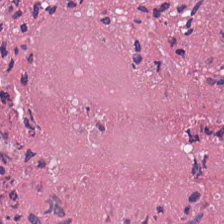Q: Identify the tissue.
A: It is cellular debris.
